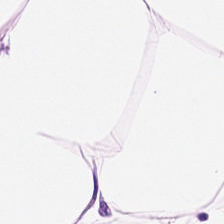Tissue type — fat tissue.
